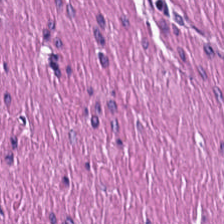Predominant tissue = smooth muscle.
